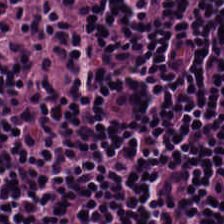H&E-stained tissue section; 224×224 px tile — The predominant tissue is lymphoid infiltrate.
